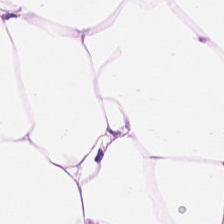H&E stain — Predominantly adipocytes.
